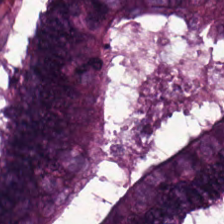Hematoxylin and eosin — The tissue here is colorectal adenocarcinoma epithelium.
